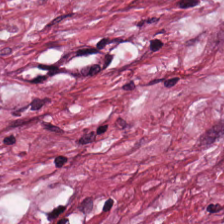Hematoxylin-and-eosin section: cancer-associated stroma.
